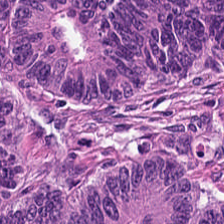Predominant tissue: colorectal adenocarcinoma epithelium.
